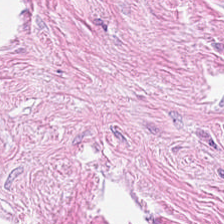The predominant tissue is tumor-associated stroma.
